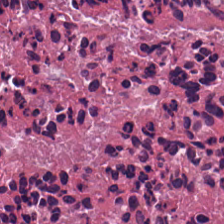Hematoxylin-and-eosin stained section — Classification = cellular debris.
